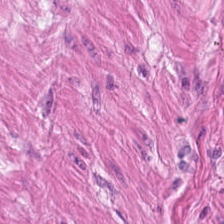Brightfield. 20× equivalent magnification. Hematoxylin and eosin. Predominantly muscularis.
